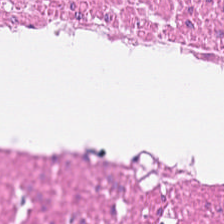H&E-stained tissue section. Q: Classify this patch.
A: Smooth muscle.
